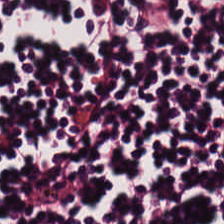Stain: hematoxylin-and-eosin stained section.
Preparation: FFPE tissue section.
Acquisition: brightfield microscopy.
Tissue type: lymphocytes.
